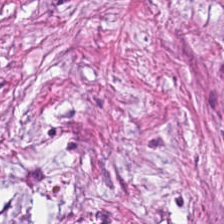H&E.
This field is cancer-associated stroma.
